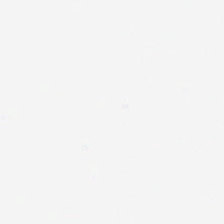This field is background (no tissue).
